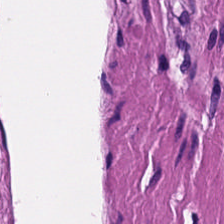H&E-stained section; the field shows smooth-muscle tissue.
